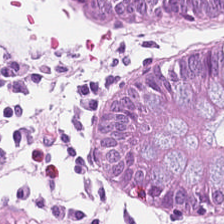H&E-stained tissue section.
Tissue class — normal colonic mucosa.
